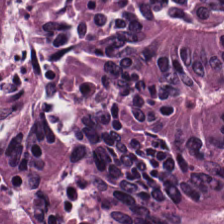Stain: H&E.
Tile size: 224×224 px patch.
Predominant tissue: colorectal adenocarcinoma epithelium.
